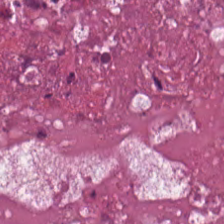H&E-stained tissue section. FFPE — Debris.
